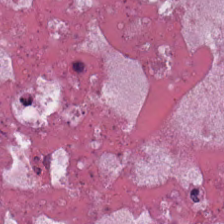H&E-stained tissue section. Debris.
